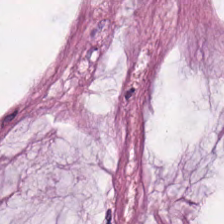224×224 pixel tile · H&E stain — Predominant tissue: extracellular mucin.
